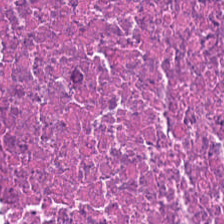H&E stain. Q: What is the predominant tissue type?
A: It is necrotic debris.
